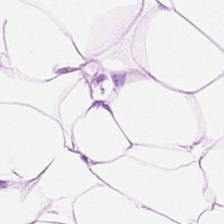Q: What is shown here?
A: It is adipose tissue.
